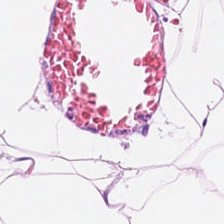The tissue class is adipocytes.
